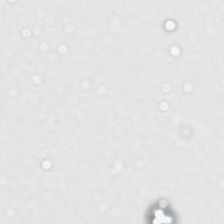Classification = no tissue.
